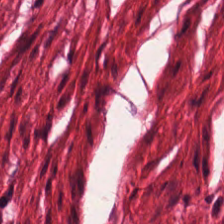FFPE; hematoxylin and eosin — The predominant tissue is smooth muscle.
